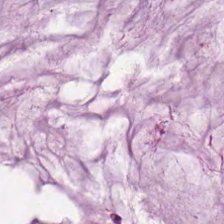20× equivalent magnification · H&E-stained tissue section — {"tissue_type": "mucin"}
